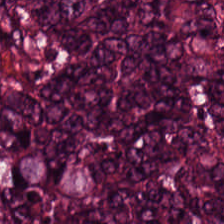Tissue class = colorectal adenocarcinoma epithelium.
